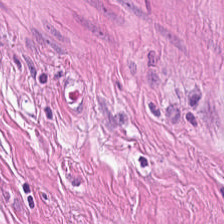Stain: hematoxylin and eosin.
Tile size: 224×224 px tile.
Preparation: formalin-fixed paraffin-embedded section.
Predominant tissue: smooth-muscle tissue.
